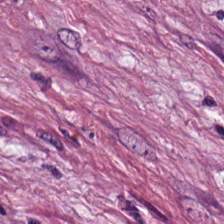Stain: H&E-stained tissue section.
Preparation: FFPE tissue section.
Tissue: cancer-associated stroma.
